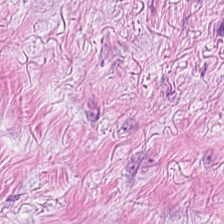224×224 px tile. H&E-stained tissue section. Q: Identify the tissue.
A: It is desmoplastic stroma.
